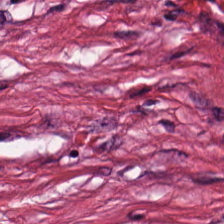H&E-stained tissue section. FFPE tissue section.
Tissue: cancer-associated stroma.
